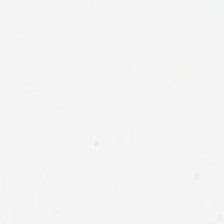0.5 microns per pixel · FFPE tissue section · hematoxylin and eosin.
No tissue present; background only.
